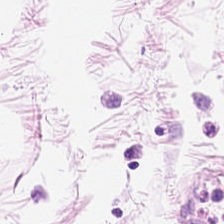H&E-stained tissue section. Tissue class: adipose tissue.
